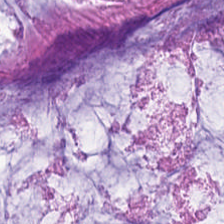H&E stain. 224×224 pixel tile.
This patch shows extracellular mucin.
